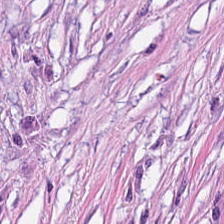Formalin-fixed paraffin-embedded section; H&E. Tissue class: cancer-associated stroma.
